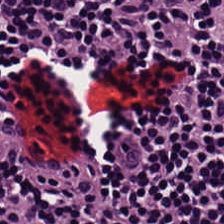Classification = lymphocytic infiltrate.
